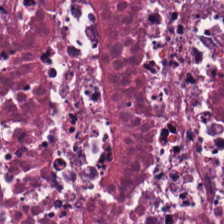Q: What tissue type is shown here?
A: It is cellular debris.
